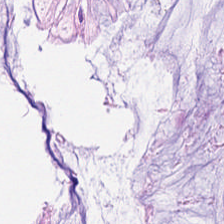Stain: H&E.
Resolution: 0.5 µm/px.
Tile size: 224×224 px tile.
Tissue class: normal colonic mucosa.
